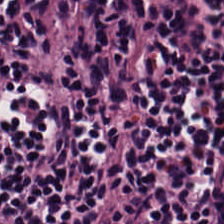FFPE tissue section; H&E stain; 224×224 px patch — This field is lymphocytes.
